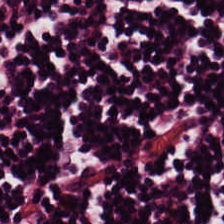Stain: H&E.
Acquisition: brightfield.
Tissue type: lymphocytic infiltrate.
